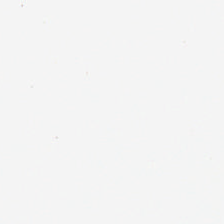Hematoxylin and eosin; 0.5 µm/px.
Classification = empty background.
